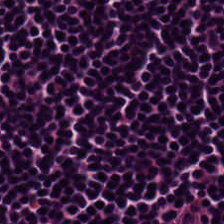Hematoxylin and eosin. Q: What is shown in this field?
A: Lymphocytic infiltrate.
